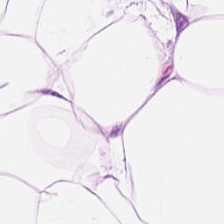Hematoxylin and eosin. 224×224 px tile — This field is adipose tissue.
